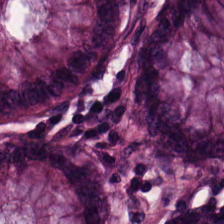H&E — non-neoplastic colon mucosa.
